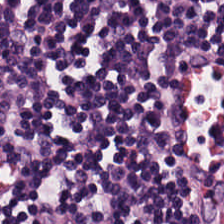H&E-stained tissue section — Showing lymphoid infiltrate.
